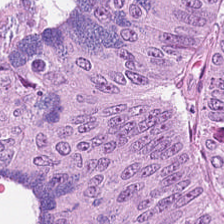Stain: hematoxylin and eosin.
Resolution: 0.5 µm/px.
Tissue type: tumor epithelium.
